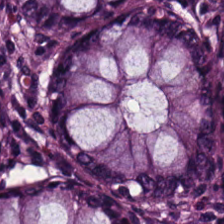Histology — non-neoplastic colon mucosa.
